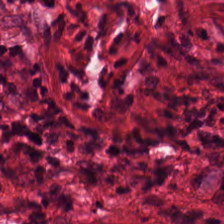H&E — Predominantly desmoplastic stroma.
